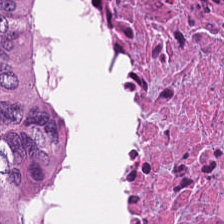H&E-stained tissue section · FFPE tissue section.
The tissue here is cellular debris.
